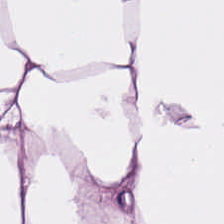Stain: hematoxylin and eosin.
Preparation: formalin-fixed paraffin-embedded section.
Acquisition: brightfield.
Tissue: fat tissue.
